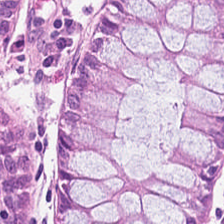Tissue = benign colonic mucosa.
